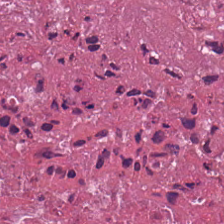H&E stain — Tissue: cellular debris.
